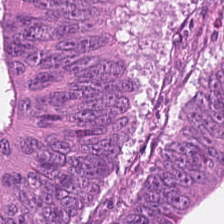Stain: hematoxylin and eosin.
Predominant tissue: tumor epithelium.
